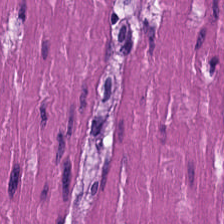H&E-stained tissue section — The predominant tissue is smooth-muscle tissue.
